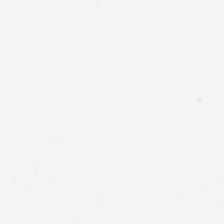Stain: H&E.
Classification: background (no tissue).
